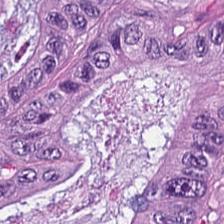H&E-stained tissue section. Q: What is shown here?
A: Colorectal adenocarcinoma.
